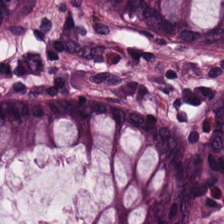H&E stain — Showing non-neoplastic colon mucosa.
